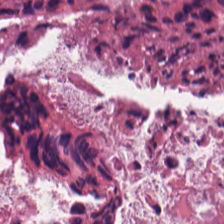Hematoxylin and eosin. 224×224 px patch. FFPE tissue section — This patch shows cellular debris.
